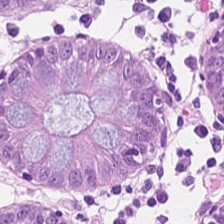Stain: H&E stain.
Classification: normal colon mucosa.
